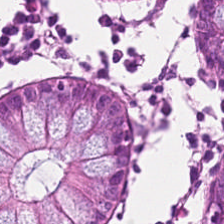H&E · brightfield · 0.5 microns per pixel. Histology — normal colon mucosa.
